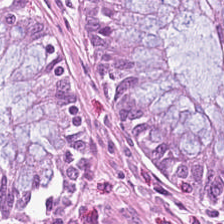H&E-stained tissue section.
Histology — normal colon mucosa.
